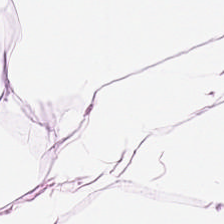Hematoxylin-and-eosin stained section.
Predominant tissue: adipose.
